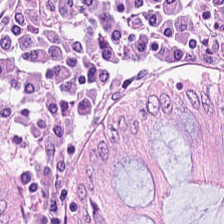Q: What is shown here?
A: The field shows non-neoplastic colon mucosa.
